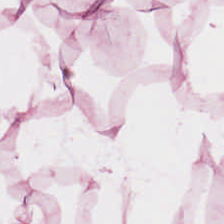Hematoxylin-and-eosin stained section.
Q: Classify this patch.
A: It is adipose tissue.
